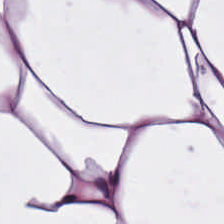0.5 microns per pixel. Hematoxylin-and-eosin stained section. {"tissue_type": "adipose tissue"}
